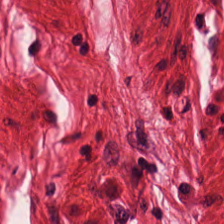H&E-stained tissue section. 224×224 px patch. FFPE tissue section.
Predominantly smooth-muscle tissue.
